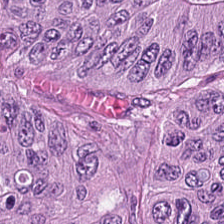Q: What does this patch show?
A: This is adenocarcinoma.
